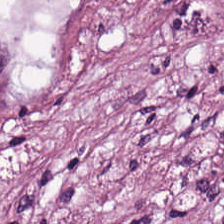Q: What tissue is shown?
A: This is desmoplastic stroma.
